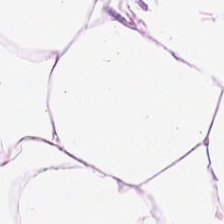Hematoxylin-and-eosin stained section · FFPE tissue section · 224×224 px patch.
Q: What is the predominant tissue type?
A: This is adipocytes.
